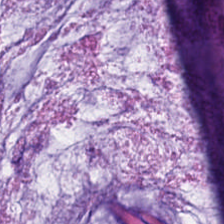224×224 px tile; 20× equivalent magnification; hematoxylin and eosin — The classification is mucin.
